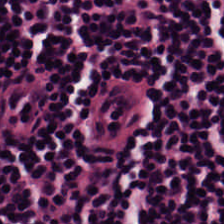224×224 pixel tile; H&E-stained tissue section; WSI patch.
Tissue: lymphocyte aggregate.
